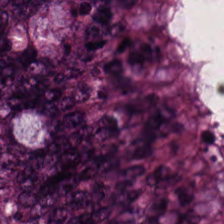H&E — Q: What tissue is shown?
A: Tumor epithelium.
